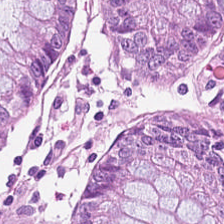Impression — benign colonic mucosa.
